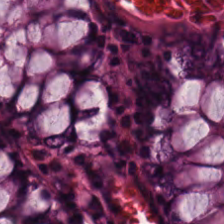FFPE. H&E-stained tissue section. 20× equivalent magnification — {"tissue_type": "normal colon mucosa"}
